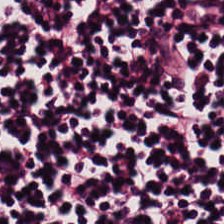0.5 µm per pixel. Formalin-fixed paraffin-embedded section. Hematoxylin and eosin — This field is lymphoid infiltrate.
